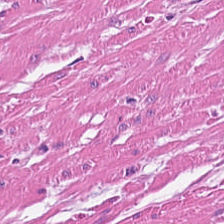Hematoxylin-and-eosin stained section. 20× equivalent magnification. Tissue type — smooth-muscle tissue.
